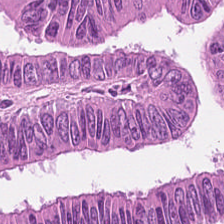224×224 pixel tile · H&E stain.
Colorectal adenocarcinoma epithelium.
